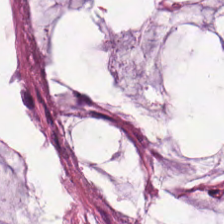Brightfield · H&E.
Classification = extracellular mucin.
